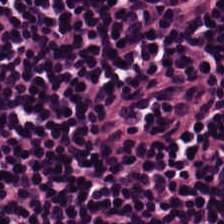Stain: H&E stain.
Resolution: 0.5 µm per pixel.
Tile size: 224×224 pixel tile.
Tissue type: lymphocytes.
